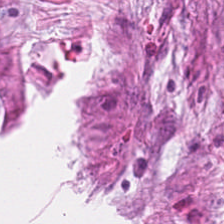H&E-stained tissue section. 224×224 pixel tile. {"tissue_type": "tumor stroma"}
